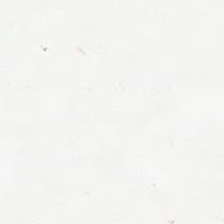Formalin-fixed paraffin-embedded section · whole-slide-image patch · H&E.
The content is empty background.
